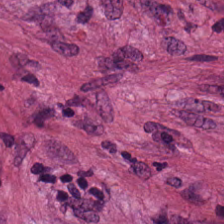Q: What is shown in this field?
A: The field shows desmoplastic stroma.
